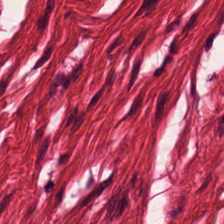Hematoxylin and eosin.
Predominantly smooth muscle.
